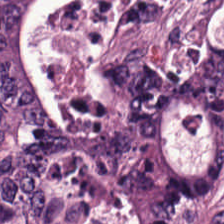H&E-stained tissue section showing malignant epithelium.
